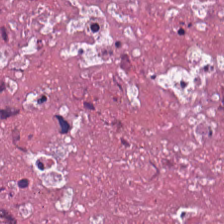H&E stain; FFPE; 224×224 px patch — Q: What tissue type is shown here?
A: This is cellular debris.
